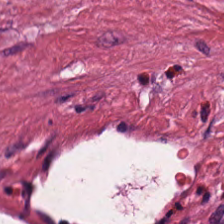H&E stain; whole-slide-image patch — This patch shows desmoplastic stroma.
